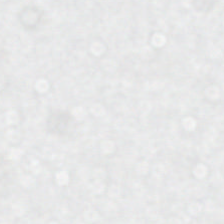Hematoxylin and eosin. Q: What does this patch show?
A: The field shows empty background.
